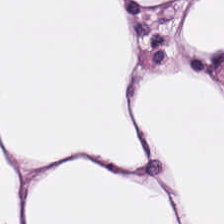H&E-stained tissue section. Q: What is shown here?
A: It is adipose tissue.
